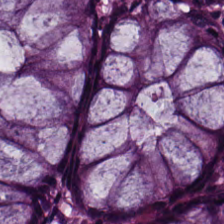0.5 µm per pixel · hematoxylin-and-eosin stained section — Non-neoplastic colon mucosa.
